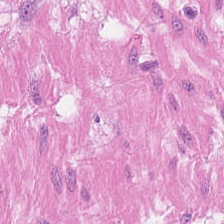Q: What does this patch show?
A: The field shows smooth-muscle tissue.
